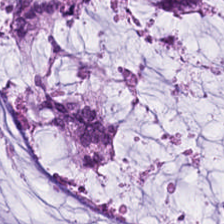Hematoxylin-and-eosin stained section — Predominant tissue: mucin.
